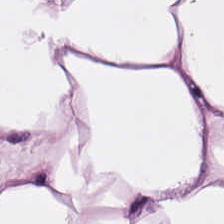H&E — fat tissue.
